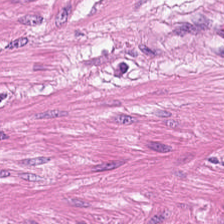H&E · 0.5 microns per pixel.
This field is smooth-muscle tissue.
